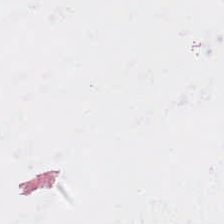H&E. The content is empty background.
